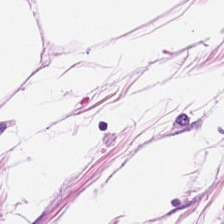Stain: H&E.
Tissue class: fat tissue.
